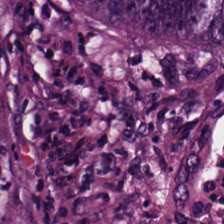H&E.
Impression — malignant epithelium.
